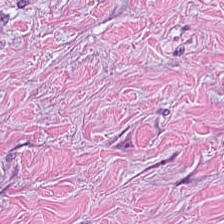H&E-stained tissue section · brightfield. This patch shows cancer-associated stroma.
